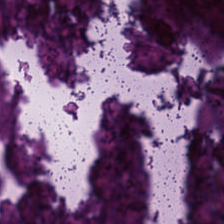Stain: hematoxylin-and-eosin stained section.
Classification: necrotic debris.
